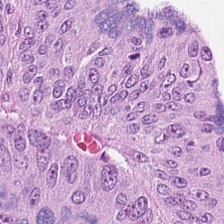H&E stain. Impression — tumor epithelium.
